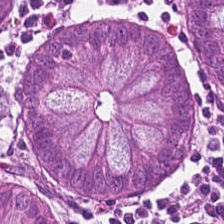The tissue type is normal colonic mucosa.
